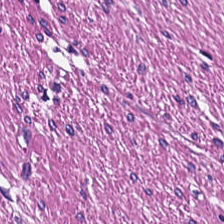H&E stain.
Smooth-muscle tissue.
